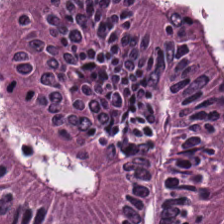Hematoxylin and eosin · 224×224 px tile. The tissue here is tumor epithelium.
